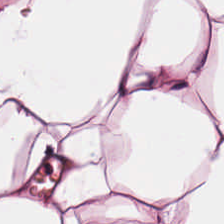Stain: H&E.
Classification: fat tissue.
